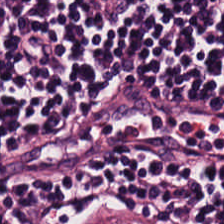Stain: hematoxylin and eosin.
Tissue type: lymphocytes.
